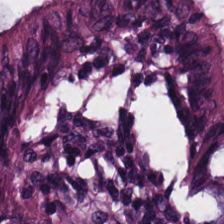Stain: H&E.
Preparation: FFPE.
Tissue: benign colonic mucosa.
